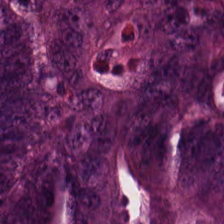H&E. Tissue type — malignant epithelium.
